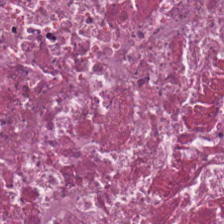Hematoxylin and eosin. FFPE tissue section. Q: What tissue type is shown here?
A: It is cellular debris.
